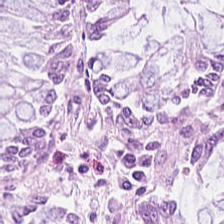H&E.
Finding — benign colonic mucosa.
